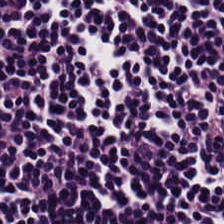Brightfield · hematoxylin-and-eosin stained section. Finding → lymphocytic infiltrate.
